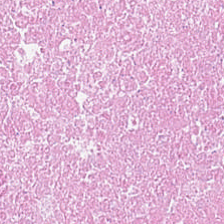Brightfield microscopy. H&E.
The predominant tissue is debris.
